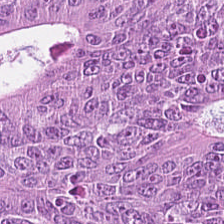Hematoxylin-and-eosin stained section.
The predominant tissue is tumor epithelium.
